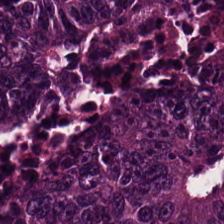0.5 µm per pixel. Hematoxylin-and-eosin stained section. Predominant tissue = colorectal adenocarcinoma epithelium.
